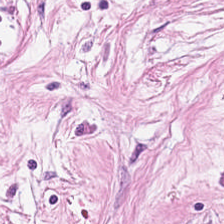H&E · 224×224 pixel tile — Q: What is shown here?
A: This is cancer-associated stroma.
